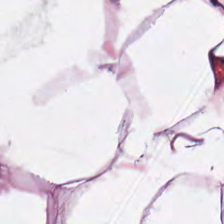Stain: H&E-stained tissue section.
Tile size: 224×224 px patch.
Tissue type: adipocytes.
